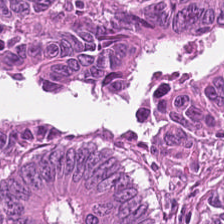This field is colorectal adenocarcinoma epithelium.
